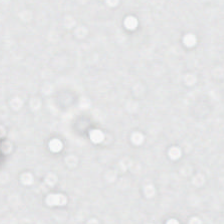0.5 µm/px. H&E — Content = empty background.
